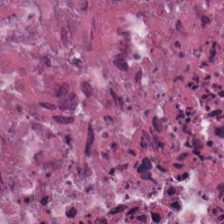H&E-stained tissue section — Showing necrotic debris.
